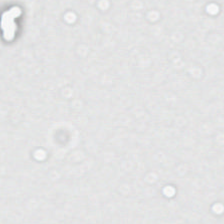H&E-stained tissue section · 0.5 microns per pixel. Content: background (no tissue).
